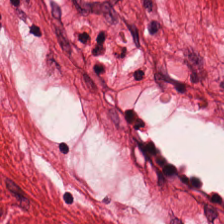Q: What type of tissue is this?
A: The field shows muscularis.
